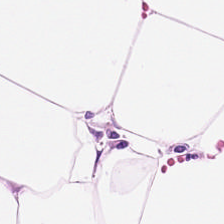Hematoxylin-and-eosin section: adipose tissue.
